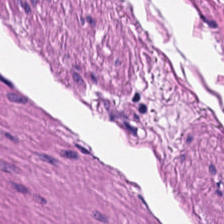Stain: hematoxylin and eosin.
Tile size: 224×224 px tile.
Classification: smooth-muscle tissue.
